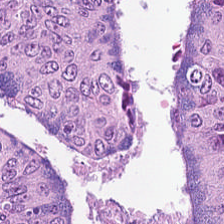Q: What is shown here?
A: The field shows adenocarcinoma.
